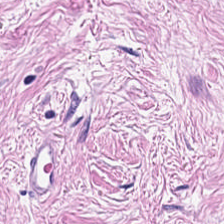Stain: H&E stain.
Resolution: 20× equivalent magnification.
Tile size: 224×224 px patch.
Classification: cancer-associated stroma.
